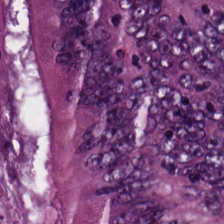Stain: hematoxylin-and-eosin stained section.
Tissue class: colorectal adenocarcinoma epithelium.
